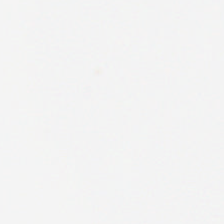FFPE tissue section. WSI patch. H&E-stained tissue section — Field content: no tissue.
